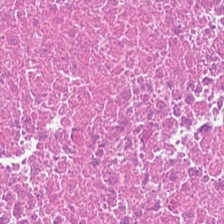0.5 microns per pixel · hematoxylin-and-eosin stained section — The tissue here is cellular debris.
